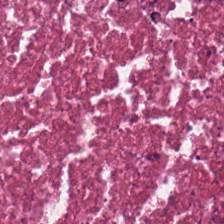H&E-stained tissue section.
This patch shows necrotic debris.
